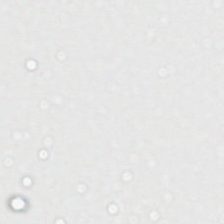0.5 µm per pixel. Hematoxylin and eosin. This patch shows background (no tissue).
